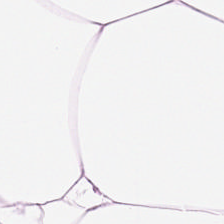H&E stain; brightfield.
{"tissue_type": "adipose"}
